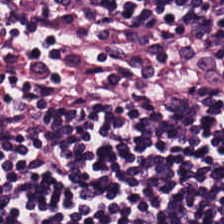0.5 µm per pixel · hematoxylin and eosin · brightfield. This patch shows lymphocytic infiltrate.
